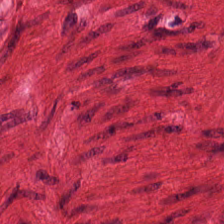The tissue here is muscularis.
